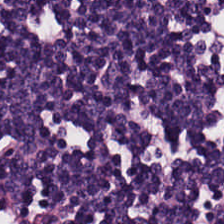H&E.
Histology → lymphocyte aggregate.
